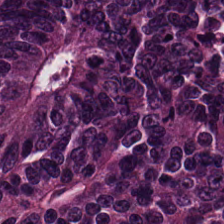Hematoxylin and eosin; 0.5 µm per pixel — Q: Classify this patch.
A: It is tumor epithelium.
